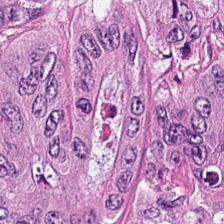H&E stain. The tissue here is adenocarcinoma.
